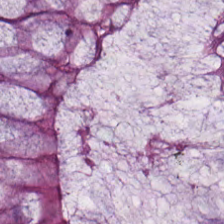Brightfield microscopy; H&E stain; 0.5 microns per pixel.
Impression → non-neoplastic colon mucosa.
